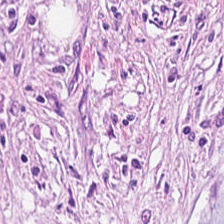Stain: hematoxylin and eosin.
Resolution: 0.5 µm per pixel.
Classification: cancer-associated stroma.
